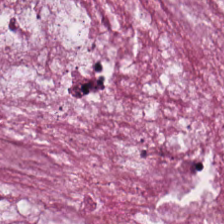Brightfield microscopy. 20× equivalent magnification. H&E. Classification = mucus.
